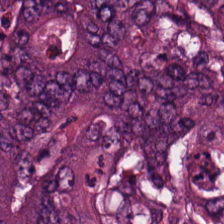20× equivalent magnification. Whole-slide-image patch. Hematoxylin-and-eosin stained section — Tumor epithelium.
